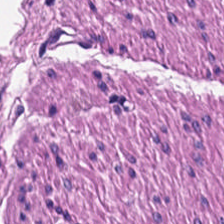Predominantly smooth muscle.
